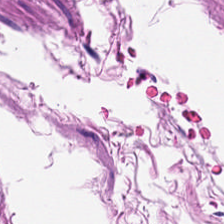H&E — smooth-muscle tissue.
